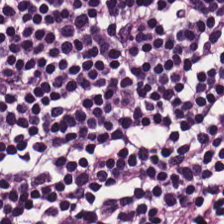Brightfield; H&E; 20× equivalent magnification. Tissue — lymphoid infiltrate.
